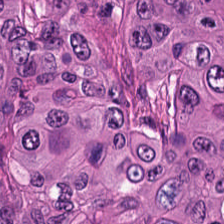Q: What does this patch show?
A: It is adenocarcinoma.
